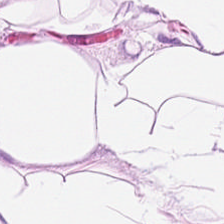H&E stain. This field is adipocytes.
